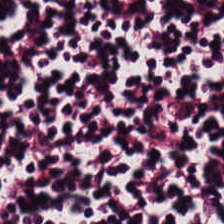H&E stain — {"tissue_type": "lymphocytes"}
